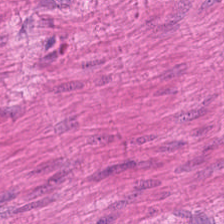Q: What tissue is shown?
A: Smooth muscle.
